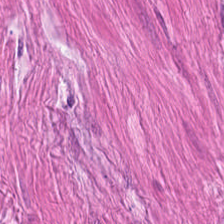Whole-slide-image patch. Hematoxylin and eosin. Smooth muscle.
